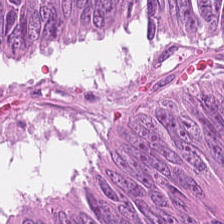Predominantly adenocarcinoma.
